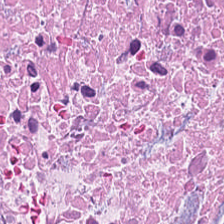Brightfield microscopy; 224×224 px patch; hematoxylin-and-eosin stained section — Tissue: debris.
